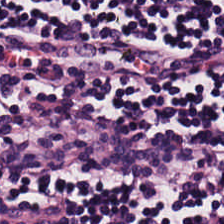Hematoxylin and eosin.
Showing lymphoid infiltrate.
